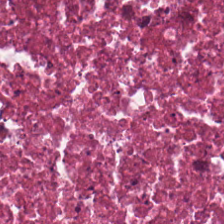Hematoxylin-and-eosin stained section.
Q: What tissue type is shown here?
A: The field shows necrotic debris.
